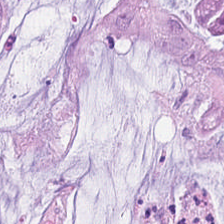Stain: H&E-stained tissue section.
Classification: mucus.
